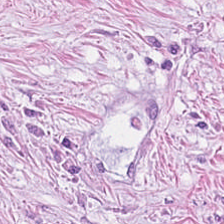Stain: hematoxylin-and-eosin stained section.
Resolution: 20× equivalent magnification.
Tile size: 224×224 px patch.
Predominant tissue: cancer-associated stroma.
